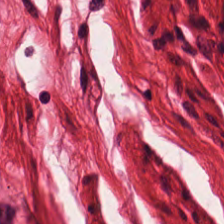H&E — Tissue class — smooth-muscle tissue.
